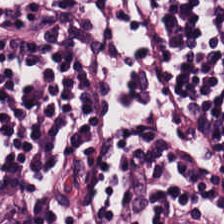224×224 pixel tile. Hematoxylin-and-eosin stained section — Q: What is shown in this field?
A: The field shows lymphocytic infiltrate.
